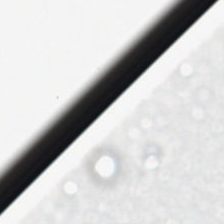Stain: H&E.
Content: background (no tissue).
